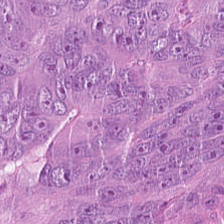Hematoxylin-and-eosin stained section.
Tissue type — malignant epithelium.
